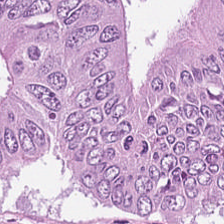Stain: H&E.
Tissue: colorectal adenocarcinoma epithelium.
